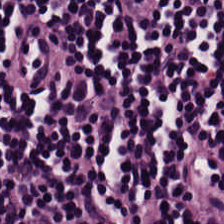224×224 px patch. Whole-slide-image patch. H&E-stained tissue section. Q: What tissue type is shown here?
A: It is lymphocytic infiltrate.
